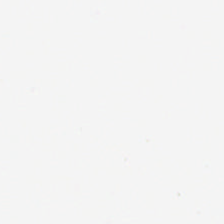Hematoxylin and eosin. FFPE tissue section — Q: What is shown here?
A: The field shows empty background.
